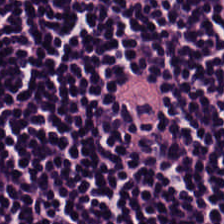Showing lymphocytes.
